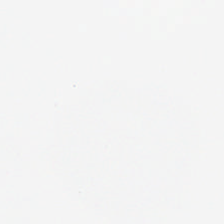This patch shows no tissue.
